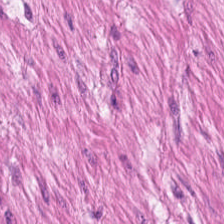Brightfield · H&E-stained tissue section — Impression → smooth-muscle tissue.
